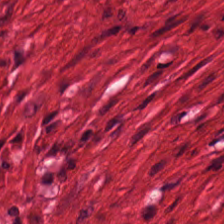H&E — smooth muscle.
